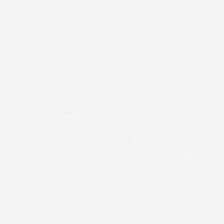Q: Classify this patch.
A: It is empty background.
